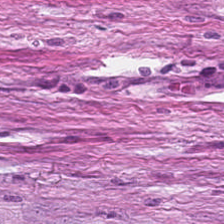H&E-stained tissue section.
Q: What is shown in this field?
A: It is cancer-associated stroma.
